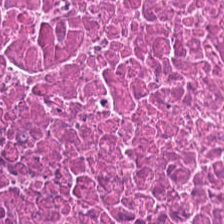224×224 px tile; H&E; brightfield.
Tissue = debris.
